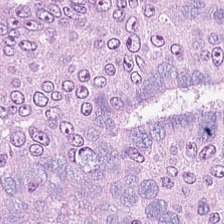H&E-stained tissue section. The predominant tissue is colorectal adenocarcinoma epithelium.
